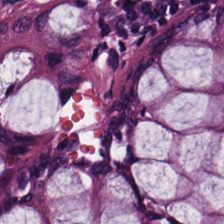224×224 px tile · H&E. Classification: benign colonic mucosa.
